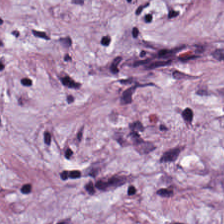The predominant tissue is tumor stroma.
